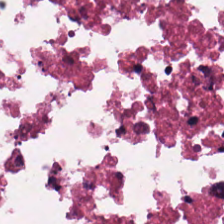224×224 pixel tile · H&E stain.
Classification — cellular debris.
